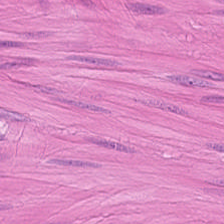Classification: smooth-muscle tissue.
